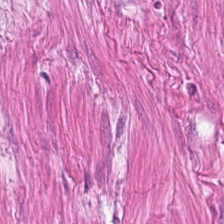H&E stain. This patch shows smooth-muscle tissue.
